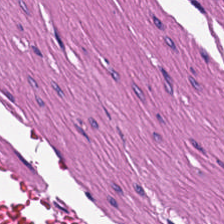H&E-stained tissue section.
Classification: smooth muscle.
